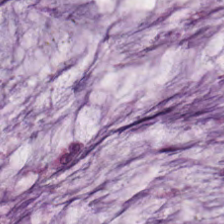H&E stain.
Tissue class: mucin.
